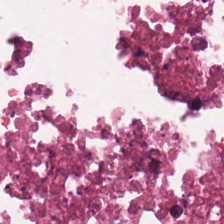Hematoxylin-and-eosin stained section.
Impression → cellular debris.
